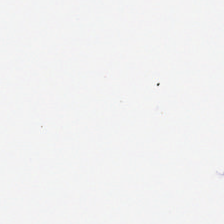Content — empty background.
